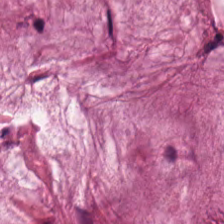Hematoxylin-and-eosin stained section — Tissue class — extracellular mucin.
